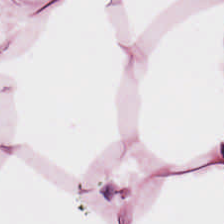224×224 px tile. H&E-stained tissue section — This field is fat tissue.
